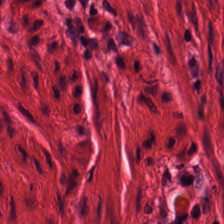H&E-stained tissue section — Q: What tissue type is shown here?
A: This is muscularis.
